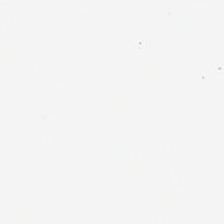This patch shows empty background.
